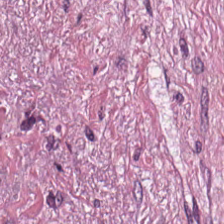224×224 px patch; hematoxylin-and-eosin stained section. Q: Identify the tissue.
A: This is desmoplastic stroma.
